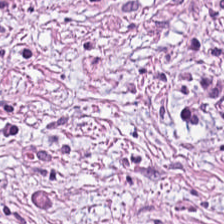The classification is tumor-associated stroma.
